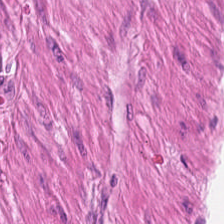Stain: hematoxylin and eosin.
Predominant tissue: muscularis.
